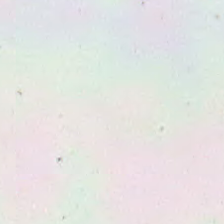Stain: hematoxylin and eosin.
Tile size: 224×224 px tile.
Classification: background.
